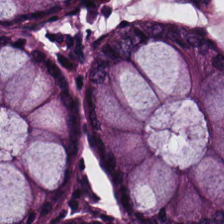Classification = non-neoplastic colon mucosa.
